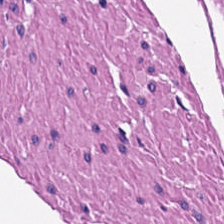The tissue class is muscularis.
